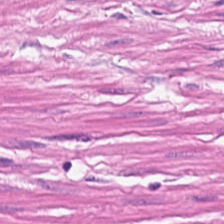Hematoxylin-and-eosin stained section — Predominantly smooth muscle.
